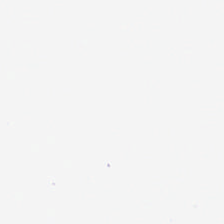The classification is empty background.
